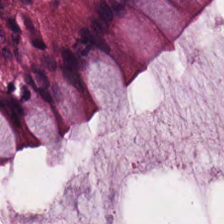H&E-stained tissue section. 0.5 µm per pixel — Q: What tissue is shown?
A: The field shows non-neoplastic colon mucosa.
